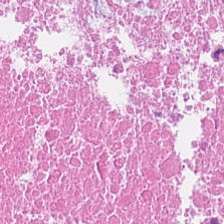Hematoxylin and eosin — Tissue — debris.
